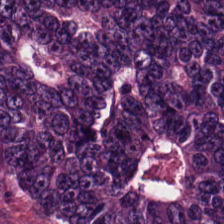{"tissue_type": "tumor epithelium"}
